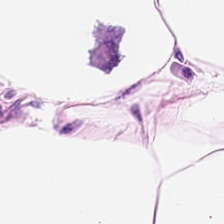Stain: H&E.
Preparation: formalin-fixed paraffin-embedded section.
Classification: adipocytes.
